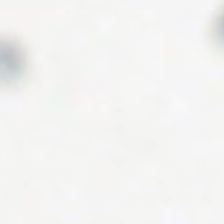0.5 µm per pixel; brightfield microscopy; H&E — Empty field — empty background.
